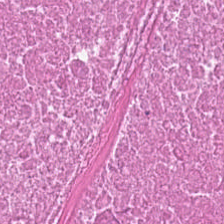Hematoxylin and eosin · FFPE tissue section. Impression — debris.
